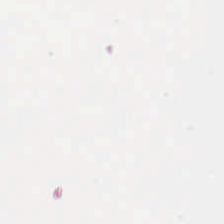No tissue present; background only.
